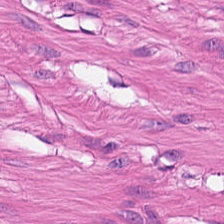Hematoxylin-and-eosin stained section.
Tissue = muscularis.
